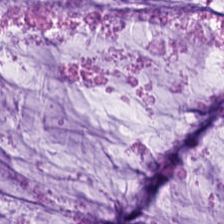224×224 px patch · H&E stain · 0.5 µm/px — The tissue here is mucin.
